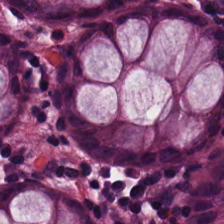Q: What tissue type is shown here?
A: Normal colon mucosa.
